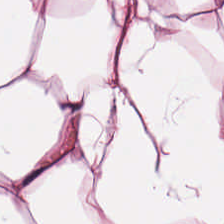Hematoxylin and eosin. The tissue class is fat tissue.
